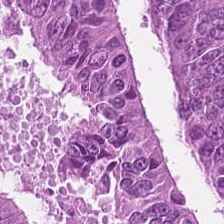The tissue is adenocarcinoma.
